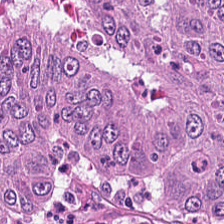FFPE tissue section; 0.5 µm per pixel; H&E stain.
The tissue here is adenocarcinoma.
